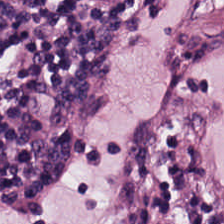H&E-stained tissue section — Tissue class — lymphoid infiltrate.
